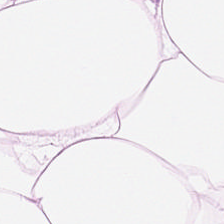224×224 px tile. H&E stain. 0.5 microns per pixel.
Tissue = adipose.
